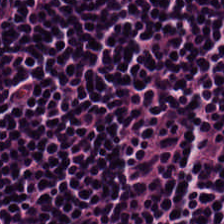Predominant tissue — lymphocyte aggregate.
